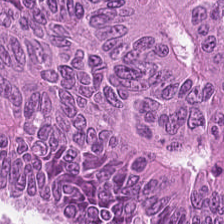0.5 µm per pixel. H&E-stained tissue section — Tissue class — colorectal adenocarcinoma epithelium.
